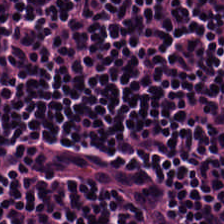Hematoxylin-and-eosin stained section. Whole-slide-image patch — The tissue here is lymphocytes.
